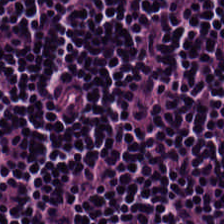Brightfield microscopy · hematoxylin-and-eosin stained section. Showing lymphoid infiltrate.
